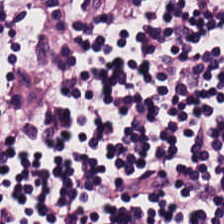H&E stain. The predominant tissue is lymphocyte aggregate.
